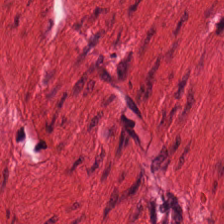H&E-stained tissue section · 224×224 px tile.
Q: What tissue type is shown here?
A: The field shows smooth-muscle tissue.
